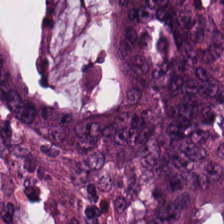224×224 px patch. 0.5 µm per pixel. H&E — Adenocarcinoma.
